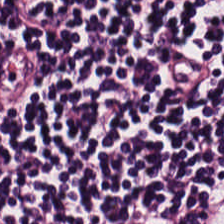H&E stain. FFPE.
Tissue class: lymphocytic infiltrate.
